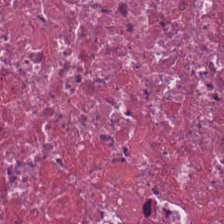H&E-stained tissue section — Finding → necrotic debris.
